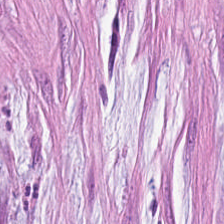Classification — extracellular mucin.
